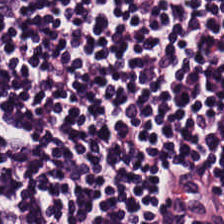H&E-stained tissue section; WSI patch; 224×224 px patch.
Lymphocytic infiltrate.
